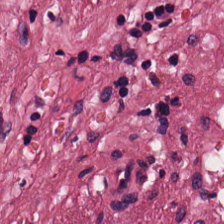Stain: hematoxylin and eosin.
Preparation: formalin-fixed paraffin-embedded section.
Tile size: 224×224 px patch.
Tissue: tumor stroma.
